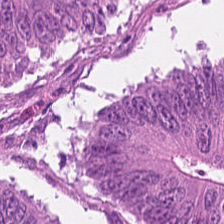H&E stain.
The predominant tissue is malignant epithelium.
